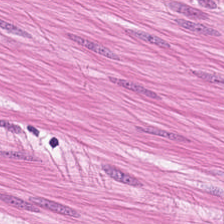Smooth muscle.
